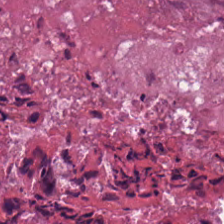FFPE. H&E-stained tissue section. Classification = debris.
